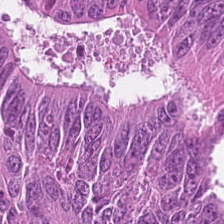Stain: hematoxylin-and-eosin stained section.
Tissue class: colorectal adenocarcinoma.
